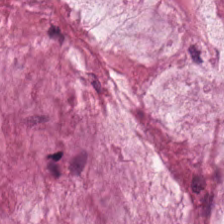224×224 px tile · hematoxylin-and-eosin stained section — Finding — mucus.
